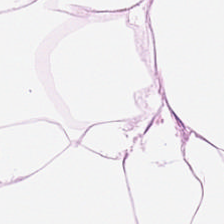Q: What is shown in this field?
A: It is adipose.
